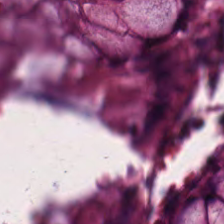224×224 px patch. H&E stain. Predominantly normal colonic mucosa.
